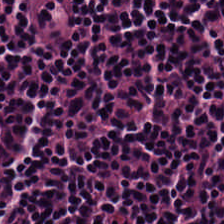0.5 µm/px. H&E — Predominant tissue — lymphocytic infiltrate.
